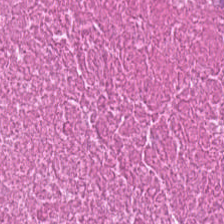FFPE · hematoxylin and eosin · 0.5 µm/px.
{"tissue_type": "cellular debris"}
